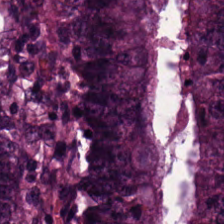Hematoxylin-and-eosin stained section — The predominant tissue is malignant epithelium.
